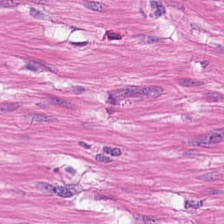Hematoxylin-and-eosin stained section — This field is smooth muscle.
